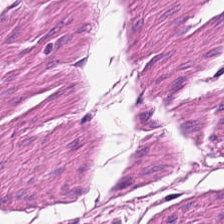224×224 pixel tile · hematoxylin-and-eosin stained section · whole-slide-image patch. The predominant tissue is muscularis.
